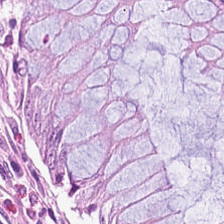FFPE tissue section · H&E stain. The predominant tissue is benign colonic mucosa.
